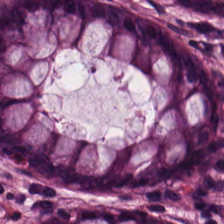Q: What is the predominant tissue type?
A: Benign colonic mucosa.
